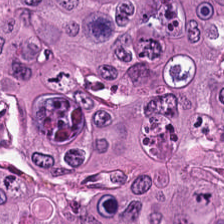224×224 px patch · hematoxylin-and-eosin stained section.
The tissue here is adenocarcinoma.
